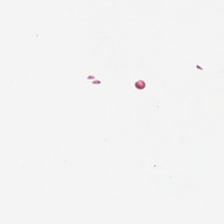H&E-stained tissue section. WSI patch — This field is background (no tissue).
